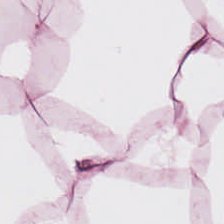H&E patch showing adipose.
